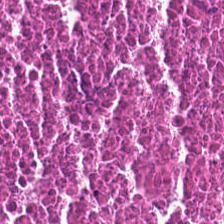Hematoxylin and eosin. The tissue here is debris.
